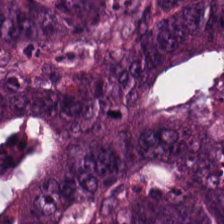H&E — Tissue type = malignant epithelium.
